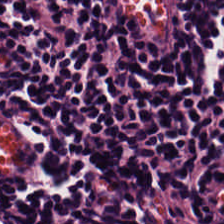0.5 µm per pixel; H&E stain; 224×224 pixel tile — The classification is lymphocyte aggregate.
